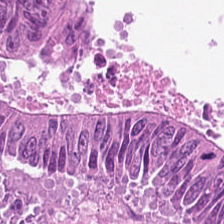H&E-stained tissue section. Brightfield.
Tissue: malignant epithelium.
